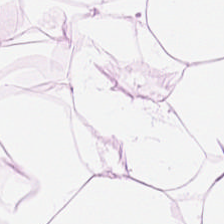Hematoxylin and eosin. Showing adipocytes.
